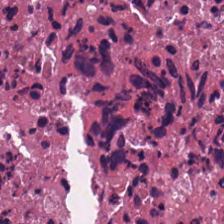Stain: hematoxylin and eosin.
Tissue: cellular debris.
